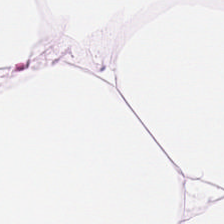Hematoxylin-and-eosin stained section. Q: What is the predominant tissue type?
A: It is adipocytes.
